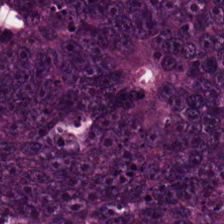WSI patch; 20× equivalent magnification; hematoxylin-and-eosin stained section.
Q: What is the predominant tissue type?
A: This is malignant epithelium.
